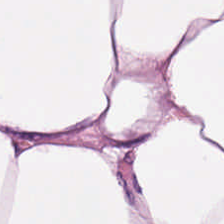Fat tissue.
